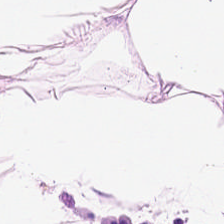H&E stain — The predominant tissue is adipocytes.
